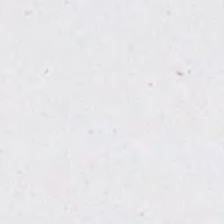This field is background (no tissue).
